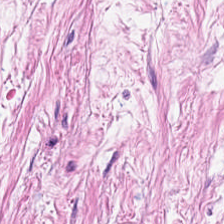WSI patch; 224×224 pixel tile; H&E stain.
Histology — cancer-associated stroma.
